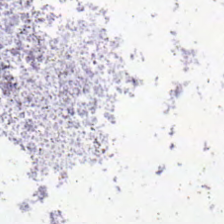20× equivalent magnification. Hematoxylin and eosin. This field is background (no tissue).
